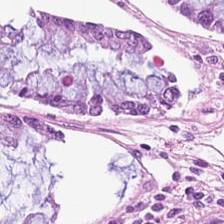0.5 microns per pixel. FFPE tissue section. H&E stain. Q: What is shown here?
A: This is normal colon mucosa.
